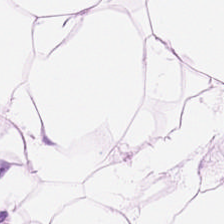Hematoxylin and eosin. This field is adipose tissue.
